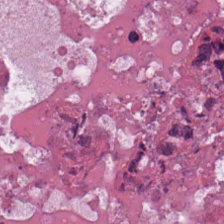H&E. The tissue here is necrotic debris.
